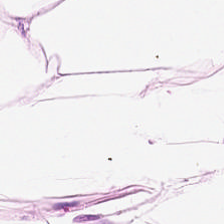Hematoxylin and eosin.
Tissue type = adipose.
